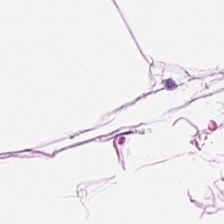Stain: hematoxylin and eosin.
Preparation: FFPE tissue section.
Acquisition: whole-slide-image patch.
Tissue: adipose tissue.
